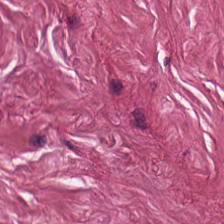Predominant tissue = tumor stroma.
